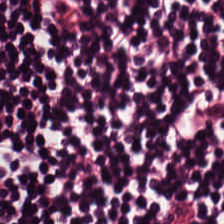Stain: hematoxylin-and-eosin stained section.
Classification: lymphoid infiltrate.
